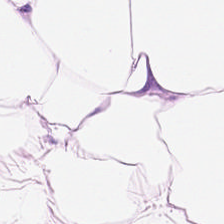{"tissue_type": "adipose"}
